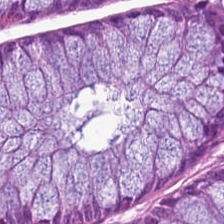FFPE · hematoxylin and eosin. Q: What is shown here?
A: It is benign colonic mucosa.
